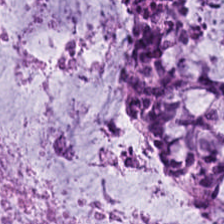224×224 px tile; H&E; brightfield.
The predominant tissue is extracellular mucin.
